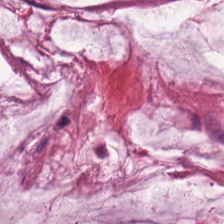0.5 µm per pixel · hematoxylin-and-eosin stained section.
The predominant tissue is extracellular mucin.
